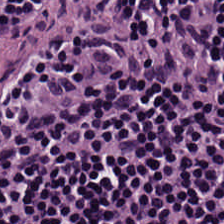Q: What tissue is shown?
A: The field shows lymphocytes.
